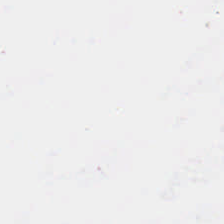This field is background (no tissue).
